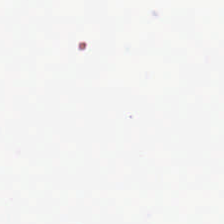WSI patch. 224×224 px tile. H&E. Field content: no tissue.
